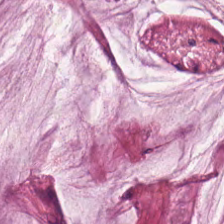H&E stain. FFPE. The predominant tissue is mucin.
